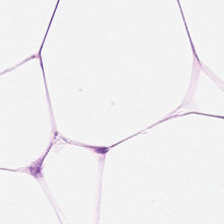Histology → adipocytes.
